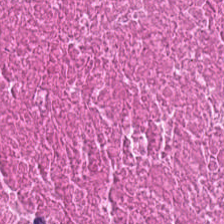H&E stain — Showing cellular debris.
